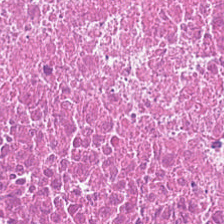Stain: hematoxylin and eosin.
Classification: debris.
